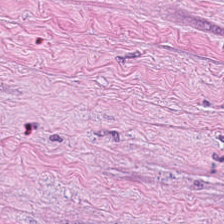H&E. Impression → cancer-associated stroma.
